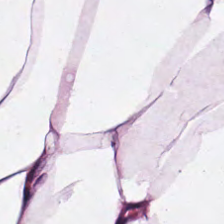Formalin-fixed paraffin-embedded section; H&E; whole-slide-image patch. The tissue here is adipose.
